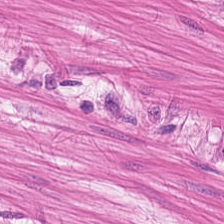H&E; 0.5 µm per pixel.
Impression — smooth-muscle tissue.
